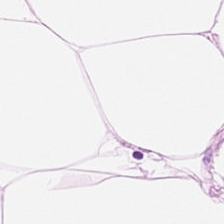Classification = fat tissue.
